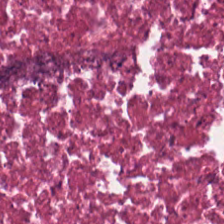Stain: hematoxylin and eosin.
Tissue class: debris.
